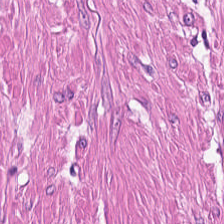H&E-stained tissue section — Classification: smooth-muscle tissue.
